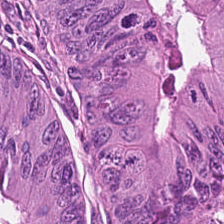224×224 pixel tile · WSI patch · H&E stain. Impression — colorectal adenocarcinoma.
